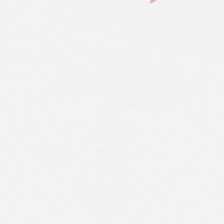H&E-stained tissue section. Empty field — no tissue.
